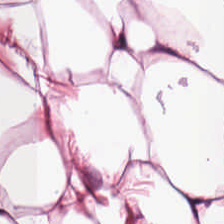224×224 pixel tile · WSI patch · hematoxylin-and-eosin stained section. {"tissue_type": "adipose"}
